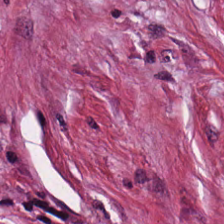Showing tumor-associated stroma.
